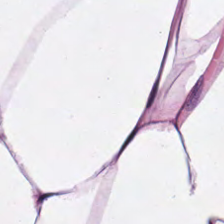FFPE; H&E-stained tissue section.
{"tissue_type": "adipose tissue"}
